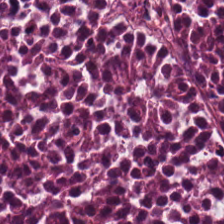The predominant tissue is debris.
